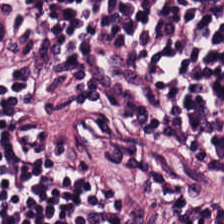Stain: H&E.
Preparation: FFPE.
Classification: lymphocytes.
